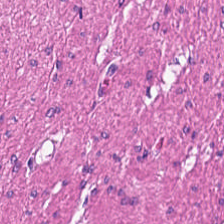Tissue type = smooth-muscle tissue.
